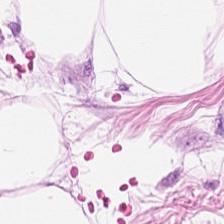Hematoxylin and eosin — The tissue here is adipose.
